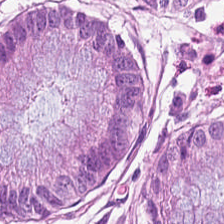Formalin-fixed paraffin-embedded section. Hematoxylin and eosin. WSI patch — Predominant tissue — normal colonic mucosa.
